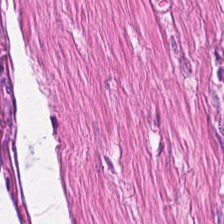H&E stain. Q: What type of tissue is this?
A: This is smooth-muscle tissue.
